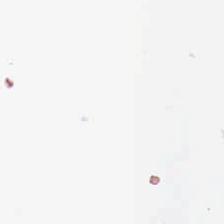Brightfield; H&E. Content = empty background.
